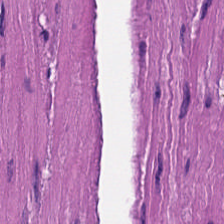0.5 microns per pixel; whole-slide-image patch; H&E stain — Tissue type = smooth-muscle tissue.
